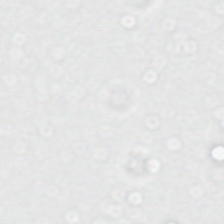Hematoxylin-and-eosin stained section · 224×224 px patch.
The field content is background (no tissue).
